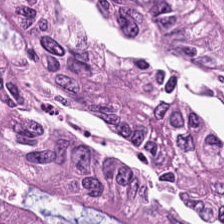{"tissue_type": "colorectal adenocarcinoma epithelium"}
